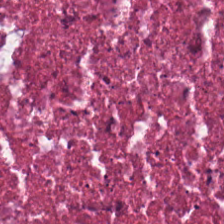Formalin-fixed paraffin-embedded section; hematoxylin and eosin — Tissue class = cellular debris.
